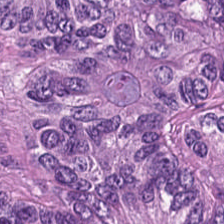Hematoxylin and eosin.
Colorectal adenocarcinoma.
